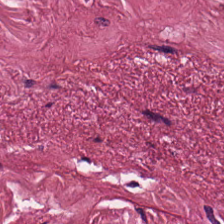Hematoxylin-and-eosin stained section.
Classification: tumor stroma.
